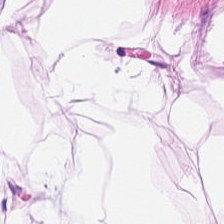Stain: hematoxylin and eosin.
Preparation: formalin-fixed paraffin-embedded section.
Resolution: 0.5 microns per pixel.
Classification: adipocytes.
